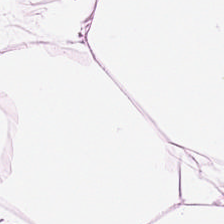Stain: hematoxylin-and-eosin stained section.
Preparation: FFPE tissue section.
Predominant tissue: adipose.
